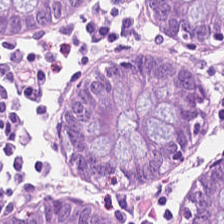H&E-stained tissue section — The tissue here is normal colonic mucosa.
